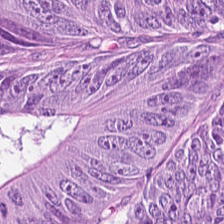Hematoxylin and eosin.
Q: What tissue is shown?
A: This is adenocarcinoma.
